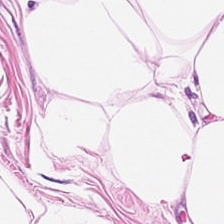Brightfield; H&E stain. Adipocytes.
